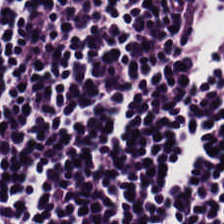H&E-stained tissue section. Tissue class: lymphocytic infiltrate.
